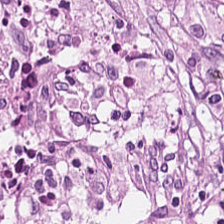FFPE tissue section; hematoxylin-and-eosin stained section; 0.5 microns per pixel.
Showing tumor-associated stroma.
